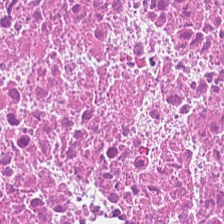Hematoxylin and eosin; 0.5 µm/px; FFPE tissue section — Tissue class = cellular debris.
